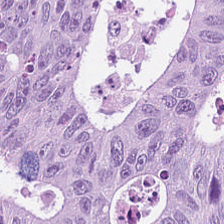Tissue — malignant epithelium.
